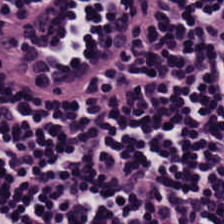{"tissue_type": "lymphocytes"}
